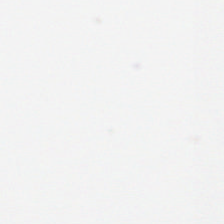H&E; whole-slide-image patch; FFPE tissue section. Q: What is shown in this field?
A: Empty background.
